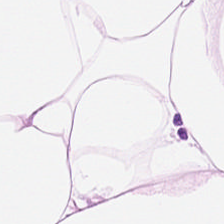H&E stain.
Showing adipose.
